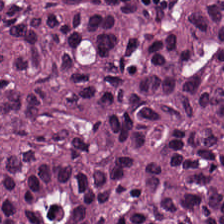FFPE tissue section. Hematoxylin-and-eosin stained section. WSI patch. The predominant tissue is tumor epithelium.
